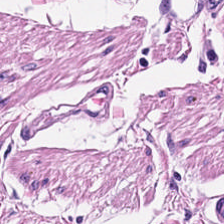Q: Classify this patch.
A: The field shows smooth-muscle tissue.
